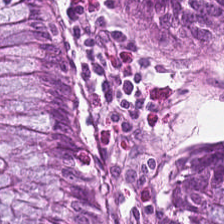Brightfield; 224×224 px patch; hematoxylin-and-eosin stained section — Tissue type: normal colonic mucosa.
